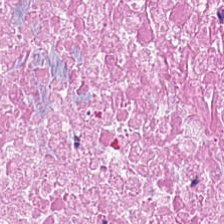H&E stain — Finding → debris.
